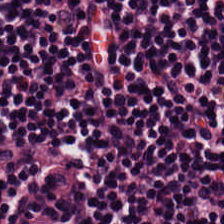H&E-stained tissue section — Tissue type: lymphocyte aggregate.
